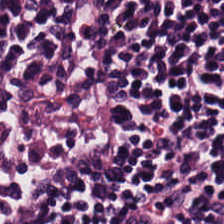WSI patch · H&E stain · 224×224 px tile.
Finding — lymphoid infiltrate.
